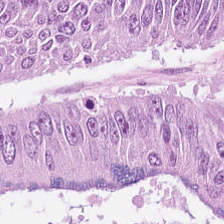Stain: H&E-stained tissue section.
Tissue: colorectal adenocarcinoma epithelium.
